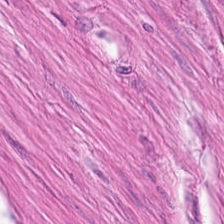H&E — Predominantly smooth muscle.
